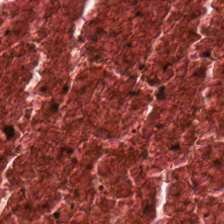Hematoxylin-and-eosin stained section.
Q: What tissue is shown?
A: It is debris.
